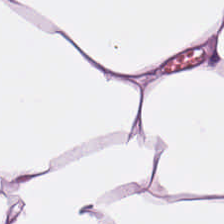Hematoxylin and eosin.
Showing fat tissue.
